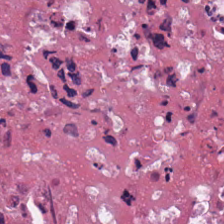The predominant tissue is debris.
